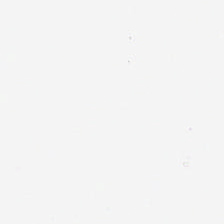The content is background (no tissue).
